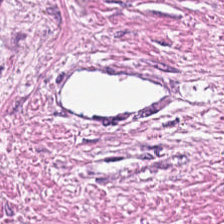H&E. 224×224 px tile. Q: Classify this patch.
A: This is desmoplastic stroma.
